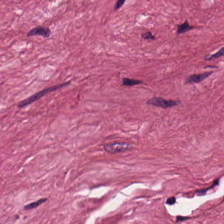H&E · whole-slide-image patch. Q: What type of tissue is this?
A: Tumor stroma.
